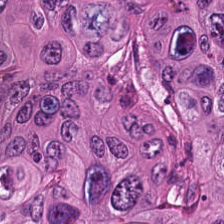H&E patch showing colorectal adenocarcinoma epithelium.
